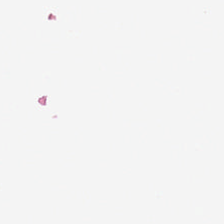224×224 px tile; H&E-stained tissue section. No tissue present; background only.
